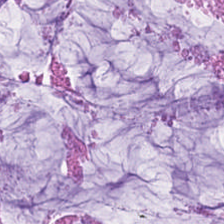Stain: H&E stain.
Tissue class: mucus.
